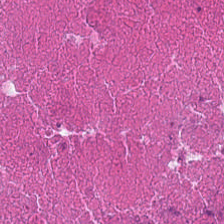WSI patch · H&E-stained tissue section.
This field is necrotic debris.
